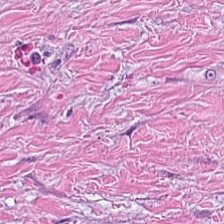Stain: H&E stain.
Resolution: 20× equivalent magnification.
Classification: cancer-associated stroma.
